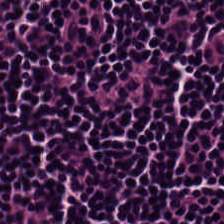H&E-stained tissue section. Predominantly lymphoid infiltrate.
